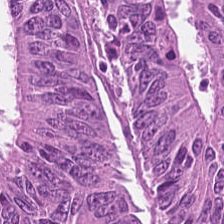The tissue here is malignant epithelium.
